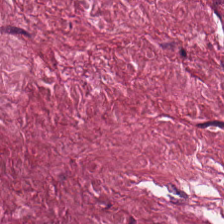H&E-stained tissue section — The predominant tissue is desmoplastic stroma.
